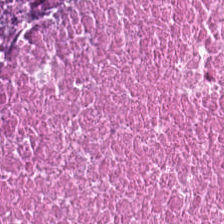Hematoxylin-and-eosin stained section.
The predominant tissue is debris.
